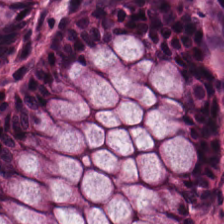Stain: H&E.
Classification: normal colon mucosa.
